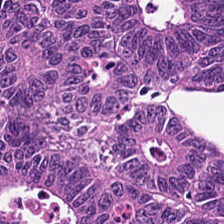0.5 microns per pixel · hematoxylin and eosin. Finding — tumor epithelium.
